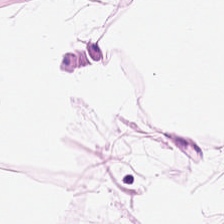Hematoxylin-and-eosin stained section. The tissue type is adipose.
